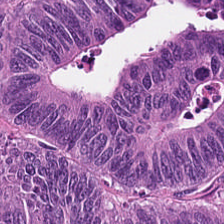224×224 px tile; H&E; brightfield microscopy — The tissue class is colorectal adenocarcinoma epithelium.
